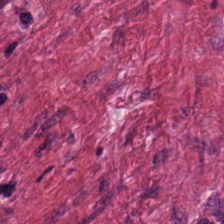Hematoxylin-and-eosin stained section · FFPE tissue section. Showing desmoplastic stroma.
